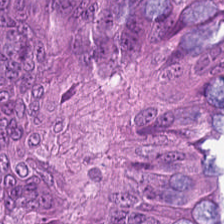Hematoxylin and eosin. Q: What is shown in this field?
A: Colorectal adenocarcinoma epithelium.
